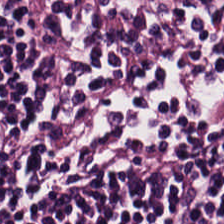Hematoxylin and eosin; 224×224 pixel tile — Lymphoid infiltrate.
